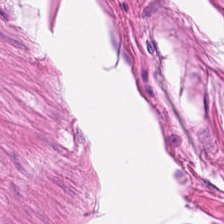FFPE. Hematoxylin-and-eosin stained section — Finding — smooth-muscle tissue.
